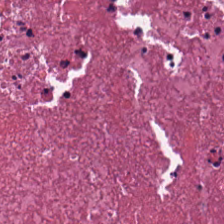Brightfield microscopy; H&E — Finding → cellular debris.
